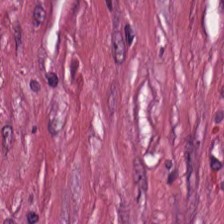H&E stain.
Histology → desmoplastic stroma.
